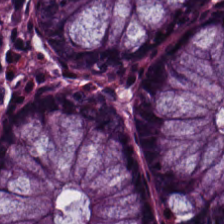224×224 px patch; WSI patch; H&E — This field is normal colon mucosa.
